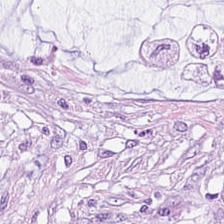Hematoxylin-and-eosin stained section. The classification is mucin.
